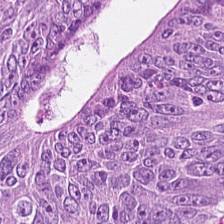Predominant tissue — adenocarcinoma.
